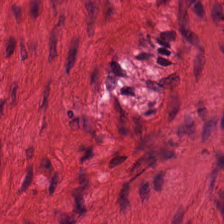0.5 microns per pixel. H&E. WSI patch.
Q: Identify the tissue.
A: It is smooth muscle.
